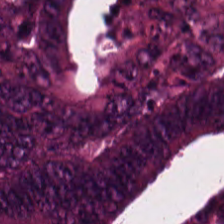Hematoxylin-and-eosin stained section · whole-slide-image patch — This field is tumor epithelium.
